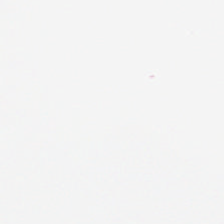224×224 pixel tile; hematoxylin-and-eosin stained section; formalin-fixed paraffin-embedded section — Q: What is shown here?
A: It is background.
